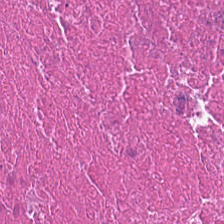H&E-stained tissue section · WSI patch — Tissue: necrotic debris.
